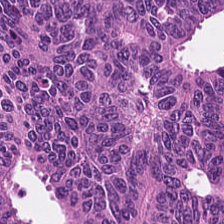Hematoxylin-and-eosin stained section — Predominant tissue — adenocarcinoma.
